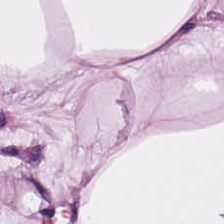The tissue type is adipocytes.
